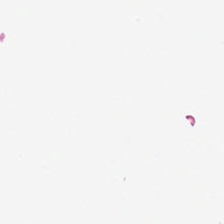Hematoxylin-and-eosin stained section.
Empty field — no tissue.
